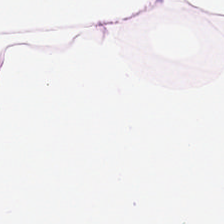Hematoxylin-and-eosin section: fat tissue.
